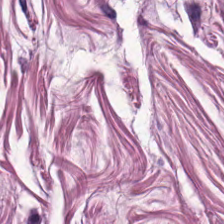Hematoxylin-and-eosin stained section — The tissue here is smooth muscle.
